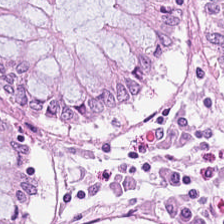224×224 pixel tile; H&E — Impression → normal colon mucosa.
